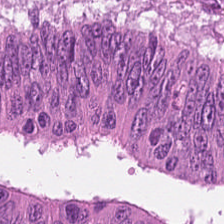Formalin-fixed paraffin-embedded section; hematoxylin-and-eosin stained section — The tissue is colorectal adenocarcinoma epithelium.
